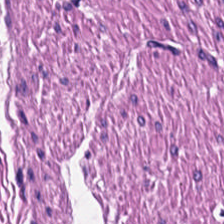H&E.
Muscularis.
